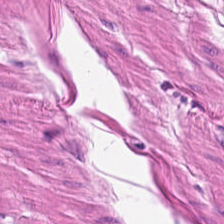Stain: H&E-stained tissue section.
Classification: smooth muscle.
